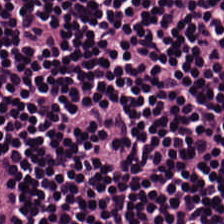H&E stain. The classification is lymphocyte aggregate.
